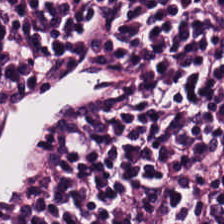Hematoxylin-and-eosin stained section — The tissue here is lymphocytic infiltrate.
